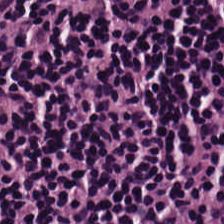0.5 µm per pixel. Hematoxylin-and-eosin stained section — The tissue here is lymphoid infiltrate.
